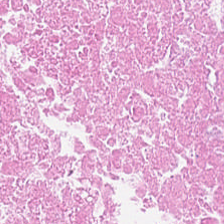Hematoxylin-and-eosin stained section — Q: Classify this patch.
A: The field shows debris.
